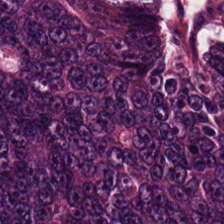H&E-stained tissue section. The tissue type is colorectal adenocarcinoma epithelium.
